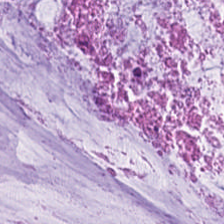Stain: hematoxylin and eosin.
Preparation: FFPE tissue section.
Predominant tissue: mucus.
